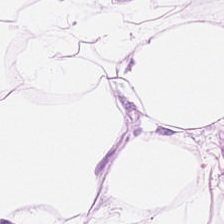Predominant tissue: adipocytes.
